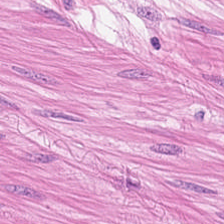Hematoxylin-and-eosin stained section; whole-slide-image patch — Histology → smooth muscle.
